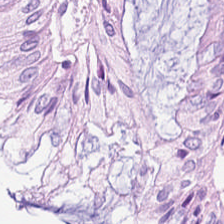FFPE tissue section · H&E. {"tissue_type": "benign colonic mucosa"}
